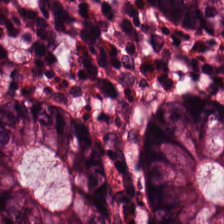H&E stain. The tissue class is normal colon mucosa.
